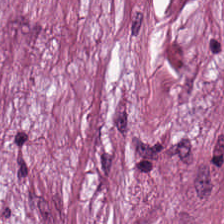Formalin-fixed paraffin-embedded section. Hematoxylin-and-eosin stained section — Q: What tissue type is shown here?
A: It is cancer-associated stroma.
